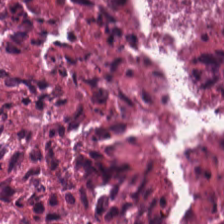H&E-stained tissue section. 0.5 µm per pixel.
Q: What type of tissue is this?
A: The field shows necrotic debris.
